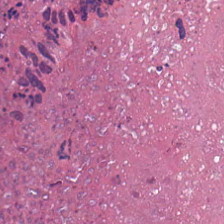The predominant tissue is necrotic debris.
